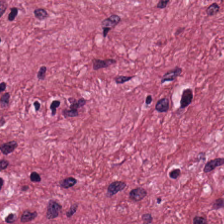224×224 pixel tile; H&E-stained tissue section. The classification is tumor stroma.
